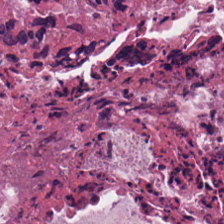Stain: H&E-stained tissue section.
Tissue: necrotic debris.
